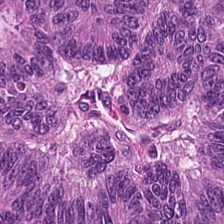0.5 µm/px. FFPE. H&E stain — Predominant tissue = adenocarcinoma.
